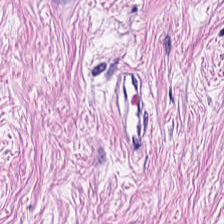Hematoxylin and eosin; 20× equivalent magnification.
Tissue class — desmoplastic stroma.
